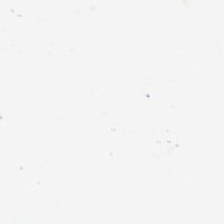H&E — Histology — empty background.
